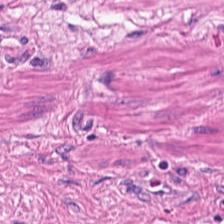224×224 px tile · hematoxylin-and-eosin stained section · 0.5 µm per pixel — This patch shows smooth-muscle tissue.
